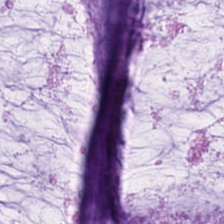H&E stain; brightfield; formalin-fixed paraffin-embedded section.
This patch shows extracellular mucin.
